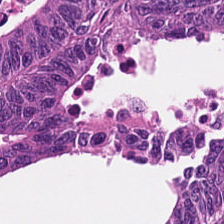Hematoxylin-and-eosin stained section — Tissue = colorectal adenocarcinoma.
